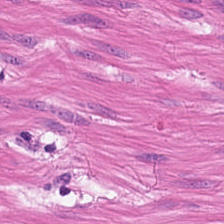H&E.
Classification = smooth-muscle tissue.
